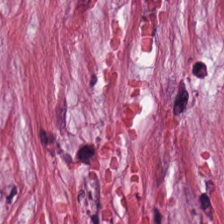WSI patch; H&E stain.
The tissue here is cancer-associated stroma.
